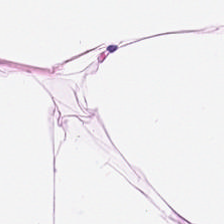Stain: hematoxylin and eosin.
Tissue: fat tissue.
